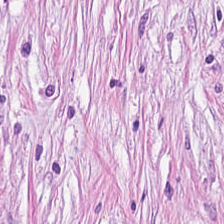Stain: H&E stain.
Preparation: formalin-fixed paraffin-embedded section.
Tissue: tumor stroma.
